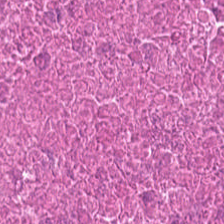Brightfield · hematoxylin-and-eosin stained section.
Debris.
